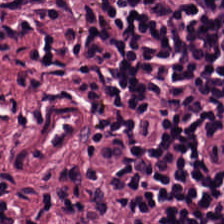Hematoxylin and eosin. 224×224 pixel tile — Tissue type = lymphocyte aggregate.
